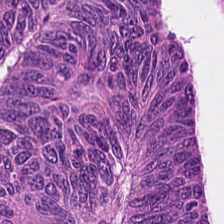H&E.
Q: Classify this patch.
A: It is colorectal adenocarcinoma.
